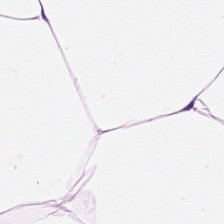Stain: hematoxylin-and-eosin stained section.
Acquisition: brightfield microscopy.
Resolution: 0.5 µm per pixel.
Predominant tissue: fat tissue.
